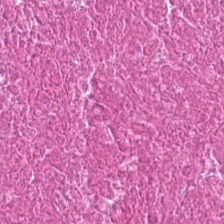Q: What is shown in this field?
A: This is debris.
